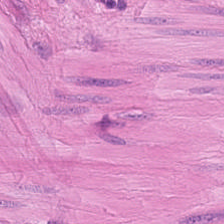Whole-slide-image patch; H&E — Q: Classify this patch.
A: Smooth muscle.
